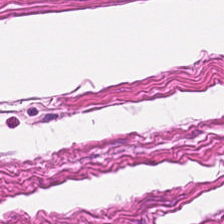Hematoxylin-and-eosin stained section — The classification is smooth muscle.
